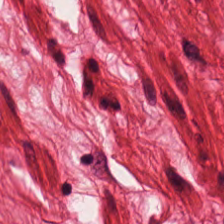Stain: H&E.
Preparation: FFPE tissue section.
Resolution: 20× equivalent magnification.
Tissue class: smooth-muscle tissue.
